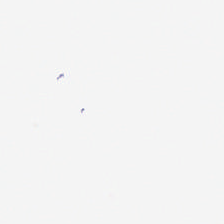H&E stain · whole-slide-image patch — This patch shows background (no tissue).
